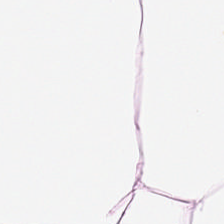224×224 px patch; formalin-fixed paraffin-embedded section; H&E.
This patch shows fat tissue.
